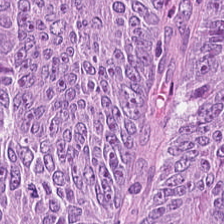Stain: H&E stain.
Predominant tissue: colorectal adenocarcinoma epithelium.
